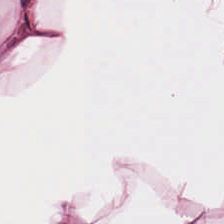Stain: hematoxylin and eosin.
Classification: adipose.
